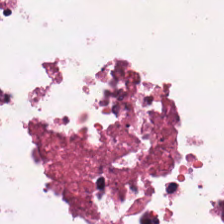Classification: debris.
